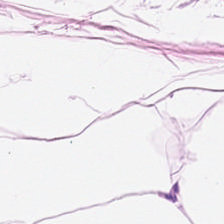H&E-stained tissue section. Showing adipose.
